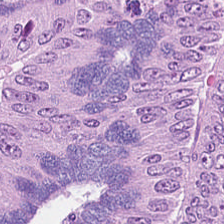Q: What tissue is shown?
A: This is adenocarcinoma.
